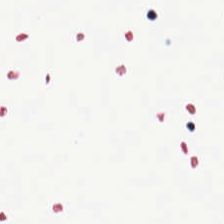Stain: H&E-stained tissue section.
Content: background.
